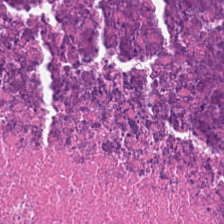Hematoxylin-and-eosin stained section · 20× equivalent magnification.
Q: What is shown here?
A: Debris.
